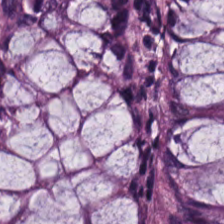Stain: H&E-stained tissue section.
Acquisition: WSI patch.
Tissue: non-neoplastic colon mucosa.
